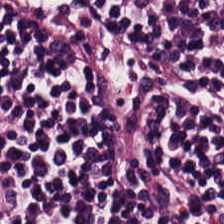0.5 µm per pixel; brightfield microscopy; H&E-stained tissue section — {"tissue_type": "lymphocytes"}
